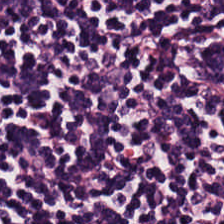H&E-stained tissue section. WSI patch. Formalin-fixed paraffin-embedded section.
Showing lymphocytic infiltrate.
